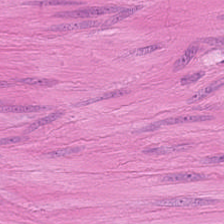Hematoxylin-and-eosin stained section; formalin-fixed paraffin-embedded section; 20× equivalent magnification — Showing muscularis.
